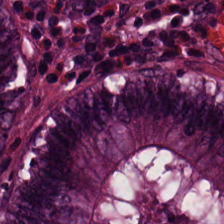0.5 microns per pixel. H&E stain. Brightfield microscopy — Q: What tissue is shown?
A: Benign colonic mucosa.
